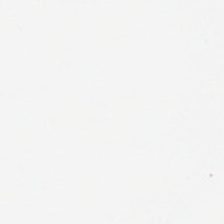H&E-stained tissue section. Classification: background.
